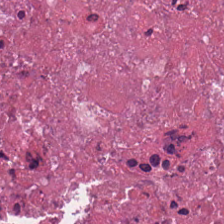Showing cellular debris.
